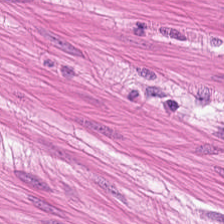Hematoxylin and eosin; FFPE tissue section; 224×224 pixel tile — This patch shows smooth-muscle tissue.
